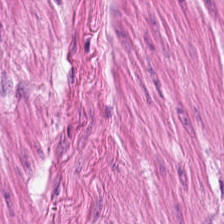H&E — The predominant tissue is muscularis.
